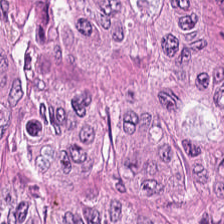{"tissue_type": "tumor epithelium"}
